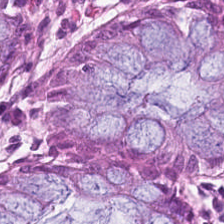This field is benign colonic mucosa.
